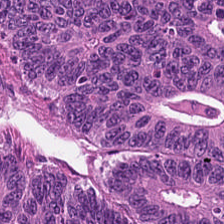Brightfield microscopy · hematoxylin and eosin. This field is tumor epithelium.
